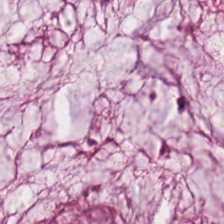Q: Identify the tissue.
A: The field shows mucin.
